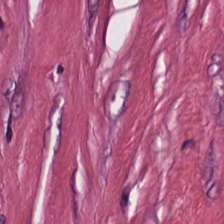FFPE tissue section; H&E stain; 0.5 microns per pixel — Predominantly tumor-associated stroma.
